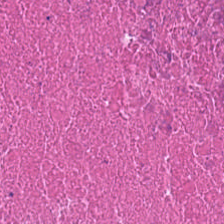FFPE tissue section · 224×224 px tile · hematoxylin-and-eosin stained section. The predominant tissue is debris.
